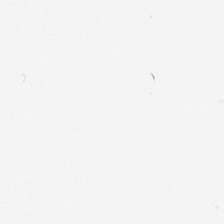Field content — background.
